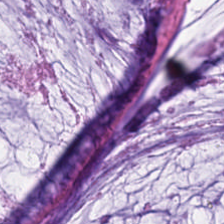Hematoxylin-and-eosin stained section · WSI patch · 224×224 pixel tile — Showing mucus.
